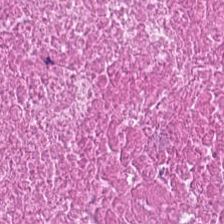20× equivalent magnification; 224×224 px tile; hematoxylin-and-eosin stained section.
Predominant tissue: cellular debris.
